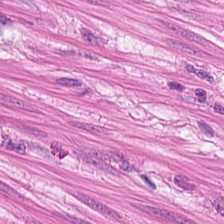FFPE; H&E-stained tissue section — Smooth-muscle tissue.
